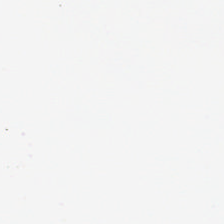Q: What is shown here?
A: This is background (no tissue).
